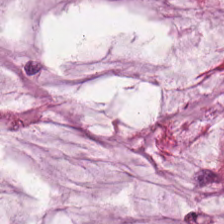H&E stain. 0.5 µm per pixel. 224×224 pixel tile.
Q: What does this patch show?
A: Mucin.
